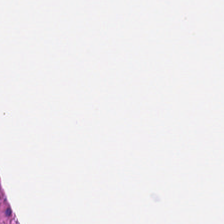Predominantly smooth muscle.
